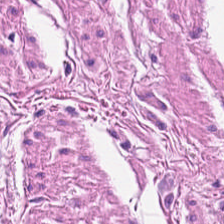224×224 px tile. Hematoxylin and eosin. FFPE — Classification: smooth-muscle tissue.
